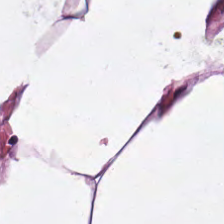H&E-stained tissue section. WSI patch. 0.5 µm per pixel. Showing fat tissue.
